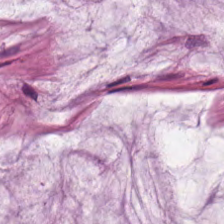Hematoxylin and eosin. 224×224 px patch — The predominant tissue is mucin.
